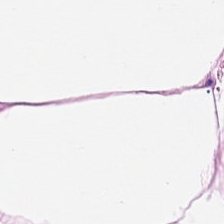H&E stain. The predominant tissue is adipose tissue.
